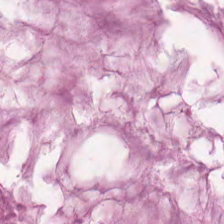Hematoxylin-and-eosin stained section; 224×224 pixel tile. Finding — mucus.
